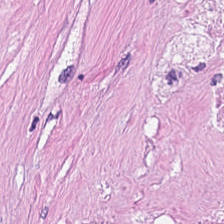H&E stain. {"tissue_type": "debris"}
